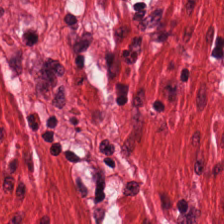H&E. Classification = muscularis.
